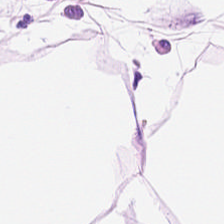WSI patch · H&E · FFPE tissue section. Predominant tissue = adipocytes.
